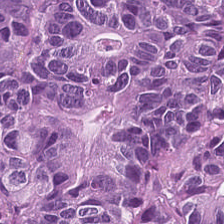H&E-stained tissue section — Predominant tissue = colorectal adenocarcinoma epithelium.
